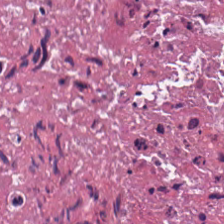Hematoxylin and eosin. Impression → debris.
